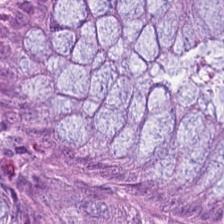H&E · WSI patch · 224×224 px tile — The classification is benign colonic mucosa.
